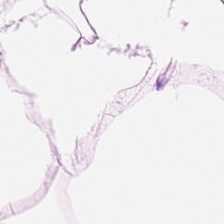FFPE tissue section · H&E-stained tissue section. Tissue: adipocytes.
